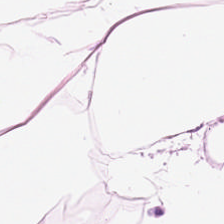Hematoxylin-and-eosin stained section.
Impression → adipose tissue.
